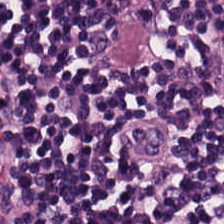Stain: hematoxylin-and-eosin stained section.
Tissue: lymphoid infiltrate.
